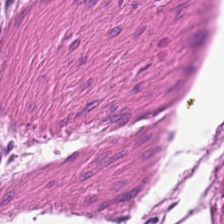0.5 microns per pixel; formalin-fixed paraffin-embedded section; H&E. Q: Classify this patch.
A: It is smooth-muscle tissue.
